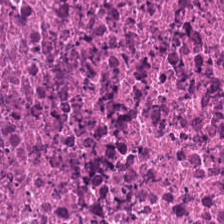Hematoxylin and eosin — Tissue class: debris.
